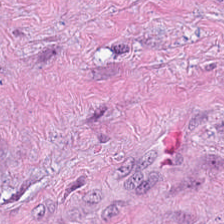Hematoxylin-and-eosin stained section — Predominant tissue: tumor-associated stroma.
